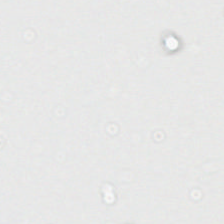Hematoxylin-and-eosin stained section. 0.5 µm/px. This patch shows no tissue.
